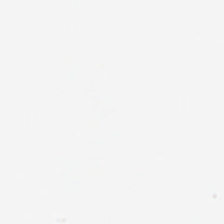Background (no tissue).
